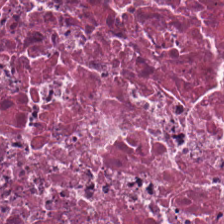0.5 µm/px. Hematoxylin-and-eosin stained section — Showing debris.
